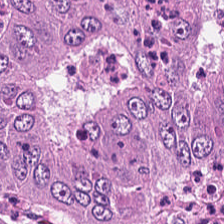Hematoxylin-and-eosin stained section.
This field is adenocarcinoma.
